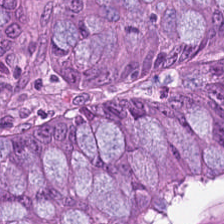H&E-stained tissue section. FFPE. Malignant epithelium.
